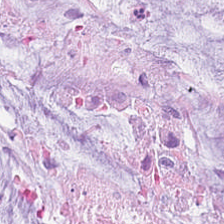H&E-stained tissue section. 0.5 µm/px. Q: What does this patch show?
A: The field shows mucus.
